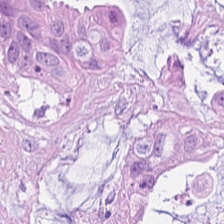Hematoxylin-and-eosin stained section.
The tissue here is mucin.
